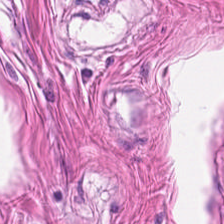0.5 µm per pixel; hematoxylin-and-eosin stained section. Histology → muscularis.
